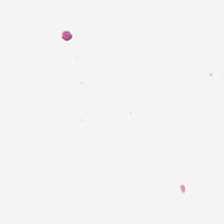H&E — Q: What is shown in this field?
A: It is empty background.
